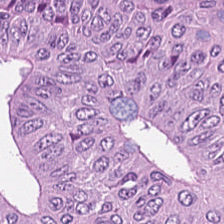Stain: hematoxylin and eosin.
Acquisition: whole-slide-image patch.
Tissue type: adenocarcinoma.
